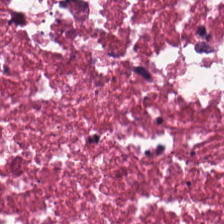H&E-stained tissue section.
Tissue — necrotic debris.
